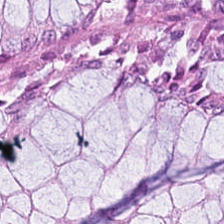Whole-slide-image patch; hematoxylin and eosin; 224×224 pixel tile.
Finding → benign colonic mucosa.
